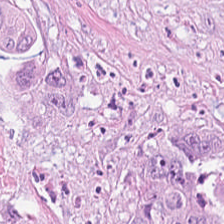H&E. This field is tumor epithelium.
